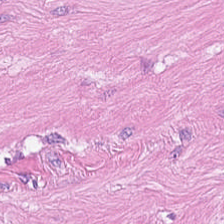H&E. Tissue type: muscularis.
